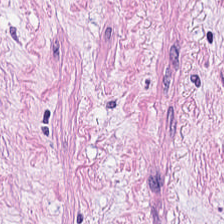Stain: hematoxylin-and-eosin stained section.
Predominant tissue: cancer-associated stroma.
